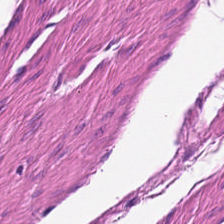Tissue: smooth-muscle tissue.
